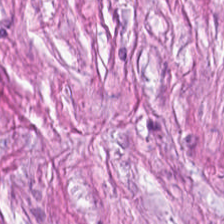H&E-stained tissue section.
{"tissue_type": "tumor stroma"}
